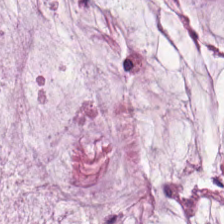Tissue = extracellular mucin.
